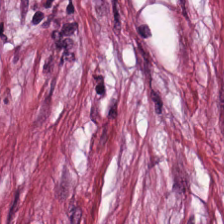Stain: H&E stain.
Resolution: 0.5 microns per pixel.
Acquisition: whole-slide-image patch.
Classification: desmoplastic stroma.
